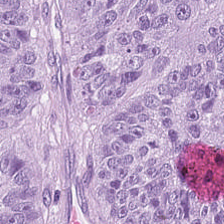Hematoxylin-and-eosin stained section; brightfield.
This patch shows colorectal adenocarcinoma epithelium.
